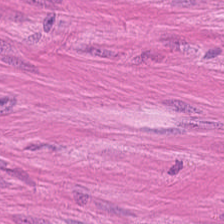Whole-slide-image patch; H&E stain.
This field is smooth-muscle tissue.
